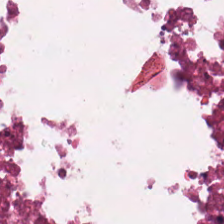Predominantly necrotic debris.
